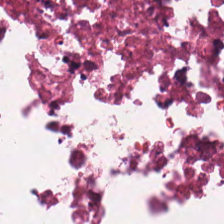Brightfield. H&E-stained tissue section.
Showing cellular debris.
